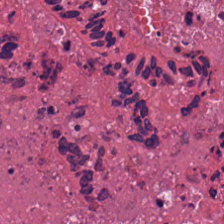Predominantly cellular debris.
